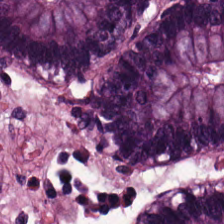Normal colon mucosa.
